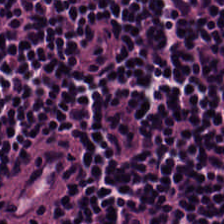Hematoxylin-and-eosin stained section — Q: What is shown in this field?
A: The field shows lymphocyte aggregate.
